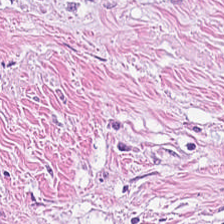0.5 microns per pixel · H&E.
Desmoplastic stroma.
